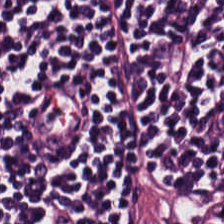0.5 microns per pixel; H&E — Classification — lymphoid infiltrate.
